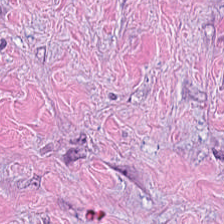Q: What is shown here?
A: It is tumor-associated stroma.
